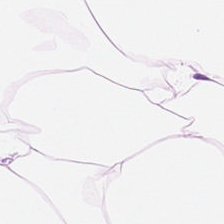Q: What is the predominant tissue type?
A: It is adipose tissue.
